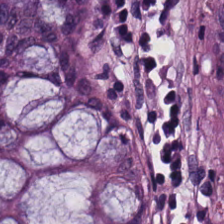Hematoxylin-and-eosin stained section; whole-slide-image patch.
Tissue class — non-neoplastic colon mucosa.
